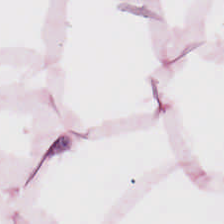Hematoxylin and eosin · FFPE tissue section — Q: What tissue is shown?
A: This is adipocytes.
